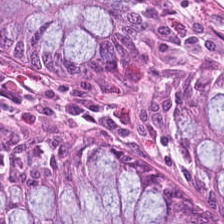Q: What is shown in this field?
A: The field shows benign colonic mucosa.
